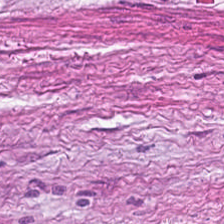Brightfield · 224×224 px patch · H&E.
This patch shows tumor-associated stroma.
